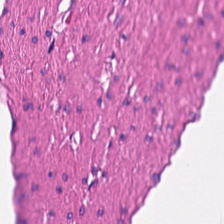Stain: H&E.
Tissue class: smooth muscle.
